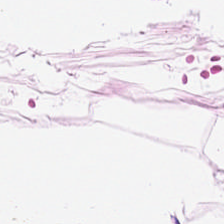224×224 pixel tile · H&E stain — {"tissue_type": "fat tissue"}
